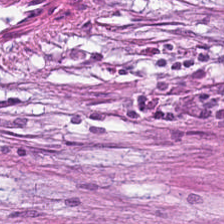H&E-stained tissue section.
The predominant tissue is cancer-associated stroma.
